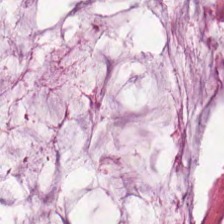Hematoxylin and eosin. Q: What is shown here?
A: It is mucin.
